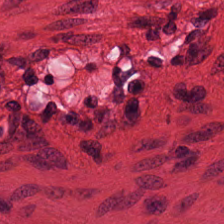Predominantly smooth-muscle tissue.
